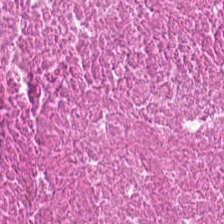Q: What is shown here?
A: The field shows necrotic debris.
